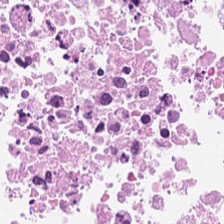H&E-stained tissue section — {"tissue_type": "debris"}
